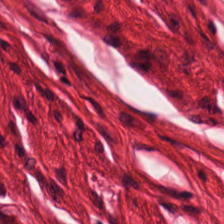Hematoxylin and eosin — Tissue: smooth-muscle tissue.
